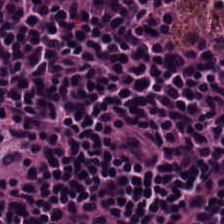H&E stain — The classification is lymphoid infiltrate.
